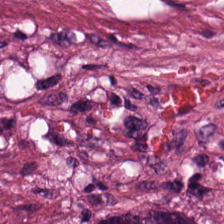224×224 pixel tile · FFPE tissue section · H&E-stained tissue section — Histology — debris.
